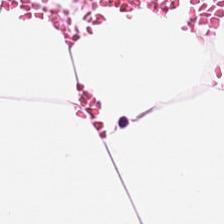Hematoxylin and eosin — Adipose.
